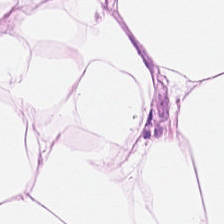Q: What is shown here?
A: The field shows fat tissue.
